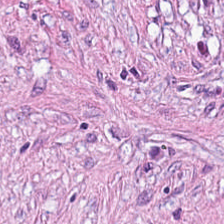Hematoxylin and eosin — Predominant tissue: cancer-associated stroma.
